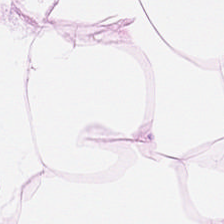H&E — Q: What is shown in this field?
A: The field shows fat tissue.
